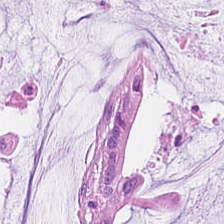Q: What does this patch show?
A: It is mucin.
